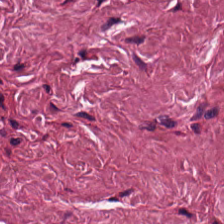H&E stain — Classification = desmoplastic stroma.
